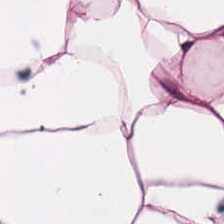0.5 microns per pixel; hematoxylin and eosin. Finding — adipose.
